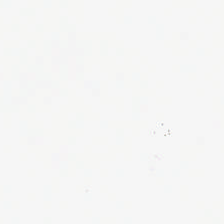WSI patch · H&E stain.
The content is empty background.
